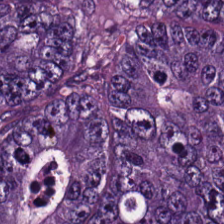H&E. This field is tumor epithelium.
